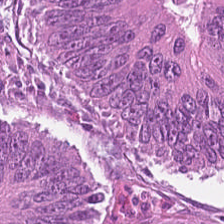Hematoxylin-and-eosin stained section. Formalin-fixed paraffin-embedded section.
The tissue here is colorectal adenocarcinoma epithelium.
